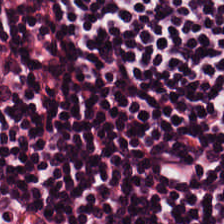Tissue class = lymphoid infiltrate.
